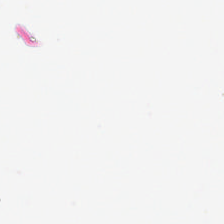H&E-stained tissue section — Content = background (no tissue).
